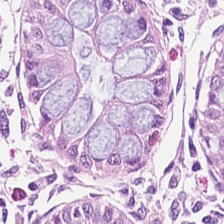H&E-stained tissue section. Predominantly normal colonic mucosa.
